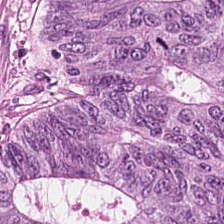Q: Identify the tissue.
A: It is tumor epithelium.
